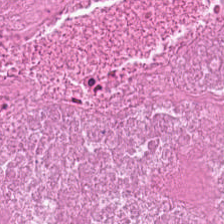H&E stain — The predominant tissue is cellular debris.
